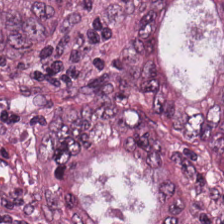Hematoxylin-and-eosin stained section. Brightfield — Predominant tissue = tumor epithelium.
